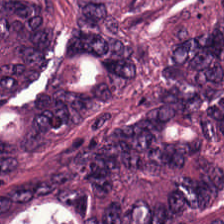H&E.
Tissue class: tumor epithelium.
